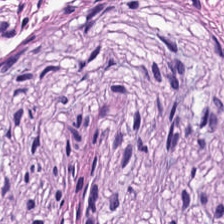Q: Classify this patch.
A: It is smooth-muscle tissue.
